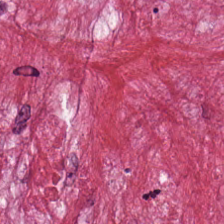Stain: hematoxylin-and-eosin stained section.
Preparation: formalin-fixed paraffin-embedded section.
Tissue type: desmoplastic stroma.
